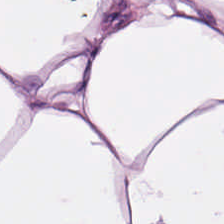Stain: H&E stain.
Tile size: 224×224 px tile.
Resolution: 0.5 microns per pixel.
Classification: adipose.
